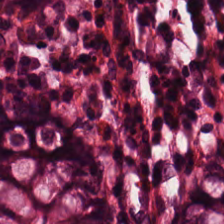H&E-stained tissue section — The tissue type is normal colon mucosa.
